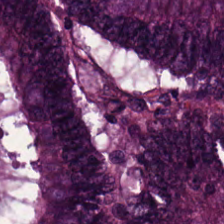H&E stain — This patch shows colorectal adenocarcinoma epithelium.
